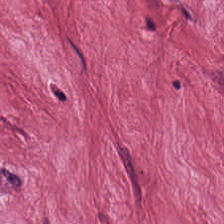H&E-stained tissue section.
Tissue type = tumor stroma.
